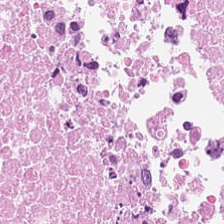Hematoxylin-and-eosin stained section. The predominant tissue is cellular debris.
